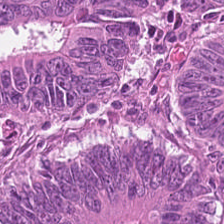Q: What is shown in this field?
A: The field shows adenocarcinoma.
